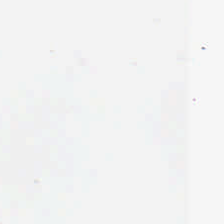H&E stain — Field content: empty background.
